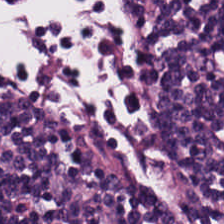Showing lymphoid infiltrate.
